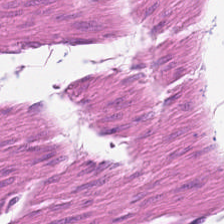Hematoxylin-and-eosin stained section.
Showing muscularis.
